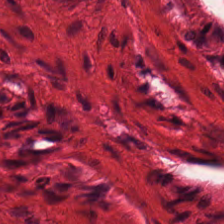H&E.
This patch shows smooth muscle.
